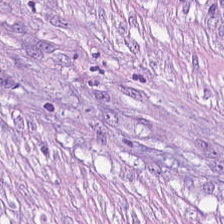H&E stain · formalin-fixed paraffin-embedded section. Q: What is the predominant tissue type?
A: This is cancer-associated stroma.
